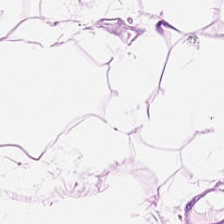Whole-slide-image patch. FFPE tissue section. H&E stain — The classification is adipose tissue.
